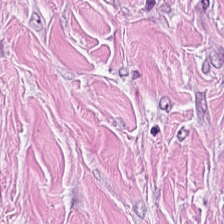Histology → tumor-associated stroma.
